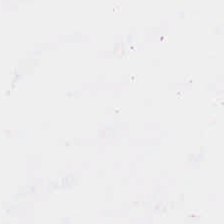Hematoxylin-and-eosin stained section.
Histology → background.
